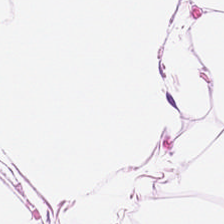Hematoxylin-and-eosin stained section — {"tissue_type": "fat tissue"}
